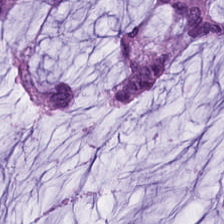Brightfield microscopy; H&E stain.
{"tissue_type": "extracellular mucin"}
